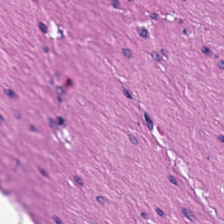Hematoxylin-and-eosin section: muscularis.
